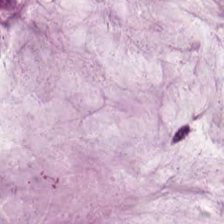FFPE tissue section; brightfield microscopy; H&E stain.
Tissue: extracellular mucin.
